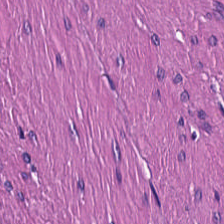Impression → smooth muscle.
